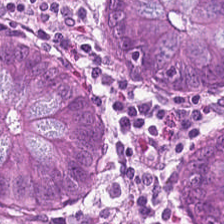Stain: H&E-stained tissue section.
Resolution: 20× equivalent magnification.
Classification: normal colonic mucosa.
